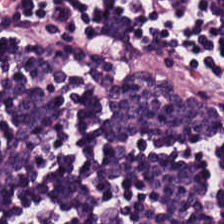Predominant tissue = lymphoid infiltrate.
